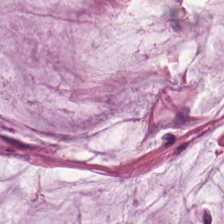H&E-stained tissue section — Tissue type: mucin.
